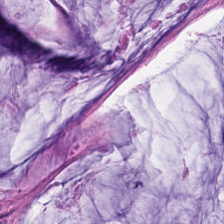H&E stain.
This field is mucin.
